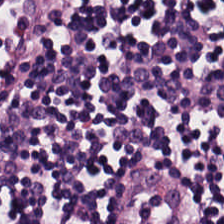Q: Classify this patch.
A: It is lymphocyte aggregate.
